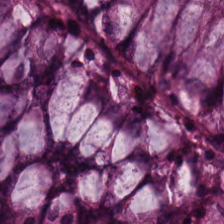224×224 pixel tile · WSI patch · H&E — Impression — non-neoplastic colon mucosa.
